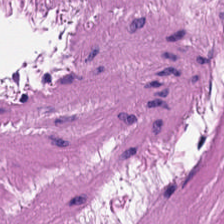H&E · formalin-fixed paraffin-embedded section — Finding — smooth-muscle tissue.
